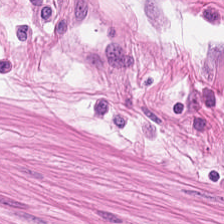224×224 px tile; H&E-stained tissue section — This field is muscularis.
